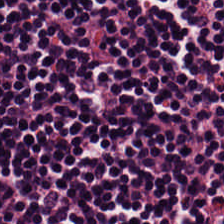Stain: H&E.
Tile size: 224×224 px patch.
Classification: lymphocytic infiltrate.
